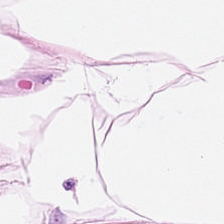H&E-stained tissue section.
This patch shows adipocytes.
